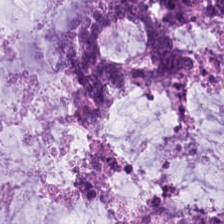H&E-stained tissue section. Whole-slide-image patch. Formalin-fixed paraffin-embedded section. Mucin.
